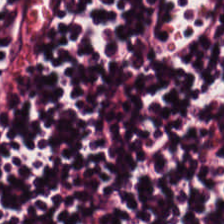Tissue = lymphoid infiltrate.
